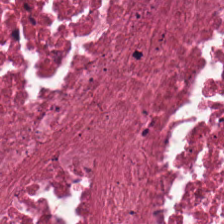H&E stain — The predominant tissue is cellular debris.
